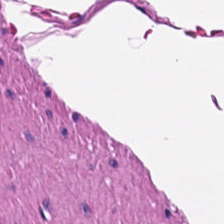H&E.
The tissue here is smooth muscle.
